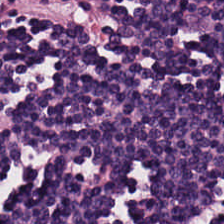Hematoxylin-and-eosin stained section · brightfield microscopy · 0.5 microns per pixel.
{"tissue_type": "lymphocytes"}
